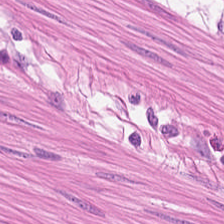Whole-slide-image patch; H&E stain — The predominant tissue is muscularis.
